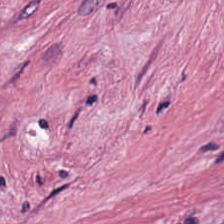H&E patch showing tumor-associated stroma.
